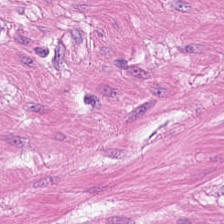Stain: H&E stain.
Tissue: muscularis.
